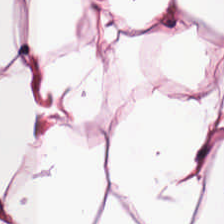0.5 µm per pixel. 224×224 px patch. H&E stain. Adipocytes.
